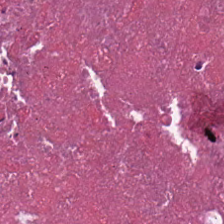H&E stain — Cellular debris.
